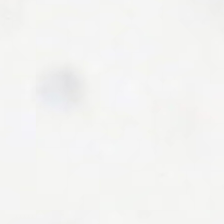Stain: hematoxylin and eosin.
Classification: no tissue.
